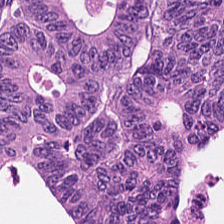H&E stain.
The tissue is colorectal adenocarcinoma.
